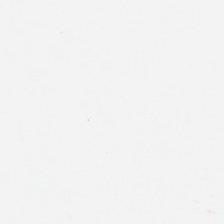Formalin-fixed paraffin-embedded section · 224×224 px patch · H&E stain — Field content: empty background.
